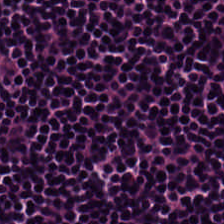Hematoxylin-and-eosin stained section — Q: What does this patch show?
A: The field shows lymphocytes.
